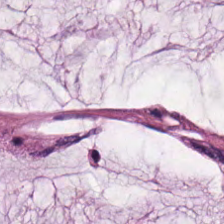Stain: H&E stain.
Resolution: 0.5 microns per pixel.
Tile size: 224×224 pixel tile.
Predominant tissue: extracellular mucin.
